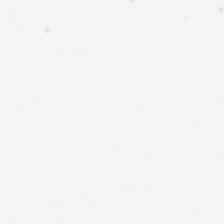H&E. Impression → no tissue.
